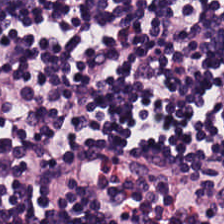Hematoxylin-and-eosin stained section — Classification = lymphoid infiltrate.
